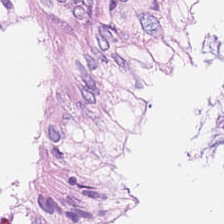WSI patch; hematoxylin and eosin.
Q: What tissue is shown?
A: It is benign colonic mucosa.
